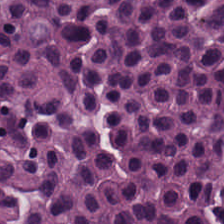Whole-slide-image patch; FFPE tissue section; H&E-stained tissue section — Showing lymphocytes.
